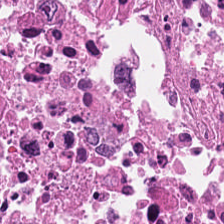Stain: H&E-stained tissue section.
Predominant tissue: cellular debris.
